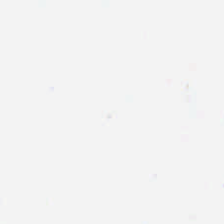Hematoxylin-and-eosin stained section. Brightfield microscopy. This field is background (no tissue).
